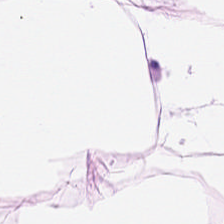Predominant tissue: adipocytes.
